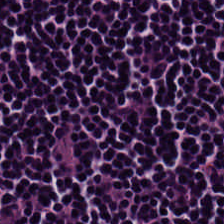WSI patch. H&E. This patch shows lymphoid infiltrate.
